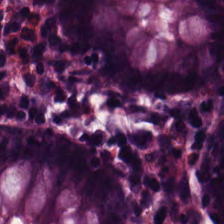Hematoxylin and eosin — Predominantly benign colonic mucosa.
